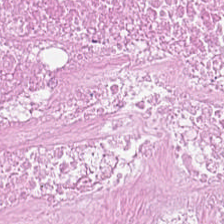Stain: H&E.
Predominant tissue: cellular debris.
